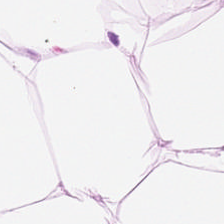Stain: H&E-stained tissue section.
Tissue: adipose tissue.
